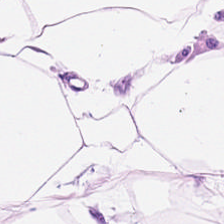Stain: H&E.
Tile size: 224×224 px patch.
Preparation: FFPE.
Tissue type: adipose.
